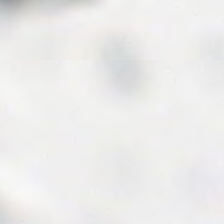Formalin-fixed paraffin-embedded section. Hematoxylin and eosin. 0.5 µm per pixel — Q: Classify this patch.
A: No tissue.
